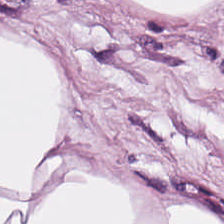Stain: hematoxylin and eosin.
Tissue: fat tissue.
